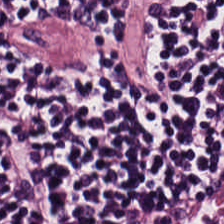Hematoxylin and eosin.
Predominant tissue: lymphocytes.
